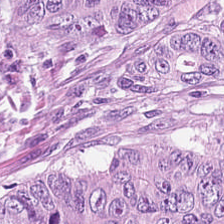H&E-stained tissue section. 20× equivalent magnification.
The predominant tissue is adenocarcinoma.
